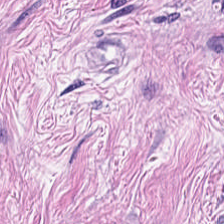Q: What is shown here?
A: This is tumor stroma.
